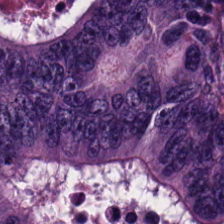Q: What is shown here?
A: This is adenocarcinoma.
